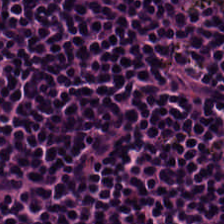H&E. Q: Classify this patch.
A: The field shows lymphocyte aggregate.
